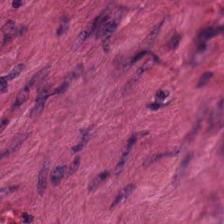H&E — muscularis.
